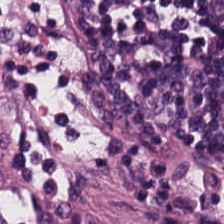0.5 µm/px · H&E stain · FFPE.
This patch shows lymphoid infiltrate.
